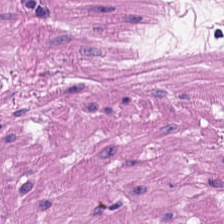WSI patch. 224×224 pixel tile. Hematoxylin-and-eosin stained section — {"tissue_type": "muscularis"}
